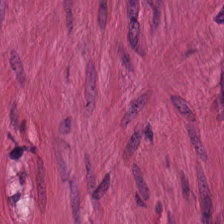H&E; 224×224 pixel tile. {"tissue_type": "smooth-muscle tissue"}
